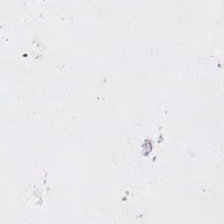Stain: H&E stain.
Content: empty background.
